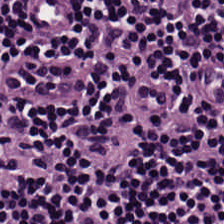This patch shows lymphocyte aggregate.
